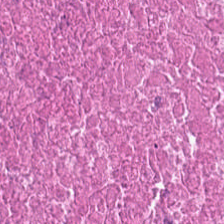H&E; WSI patch; 224×224 pixel tile — Q: What tissue is shown?
A: This is necrotic debris.
